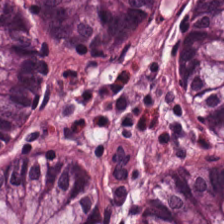H&E · 224×224 px tile.
{"tissue_type": "benign colonic mucosa"}
